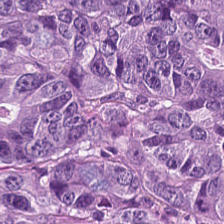Showing adenocarcinoma.
